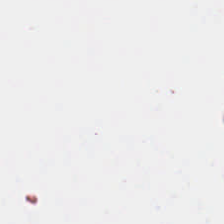Q: What does this patch show?
A: This is empty background.
